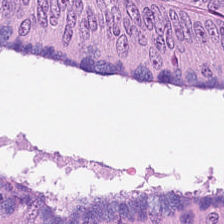Stain: H&E stain.
Tissue type: malignant epithelium.
